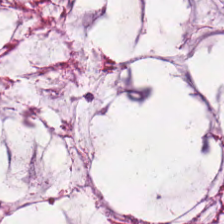224×224 px patch; H&E. This patch shows extracellular mucin.
